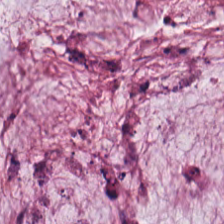Hematoxylin and eosin. Brightfield microscopy — Predominant tissue = mucus.
